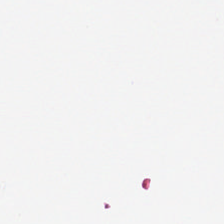Background.
